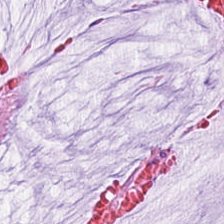H&E stain — Tissue type — extracellular mucin.
